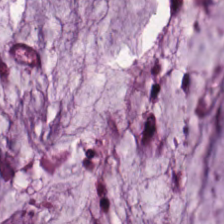Stain: H&E stain.
Tile size: 224×224 pixel tile.
Resolution: 0.5 µm per pixel.
Predominant tissue: extracellular mucin.
